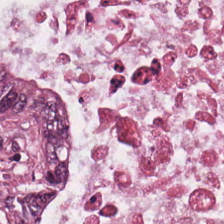Formalin-fixed paraffin-embedded section · 224×224 px patch · H&E stain.
Predominantly adenocarcinoma.
